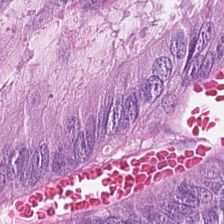Hematoxylin and eosin; brightfield; 0.5 microns per pixel.
Q: What tissue type is shown here?
A: It is colorectal adenocarcinoma epithelium.
